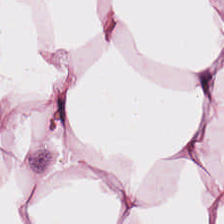H&E · formalin-fixed paraffin-embedded section.
This patch shows adipose.
